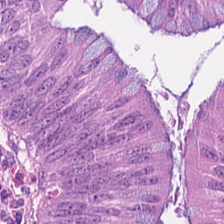Hematoxylin-and-eosin section: malignant epithelium.
